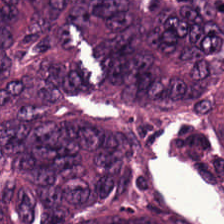Hematoxylin and eosin — {"tissue_type": "colorectal adenocarcinoma epithelium"}
